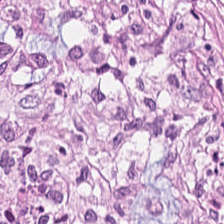Finding → tumor-associated stroma.
